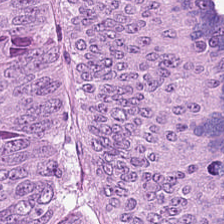The classification is colorectal adenocarcinoma epithelium.
